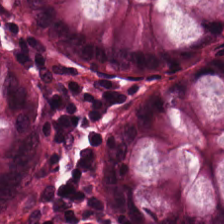Hematoxylin-and-eosin stained section. Tissue class = normal colonic mucosa.
